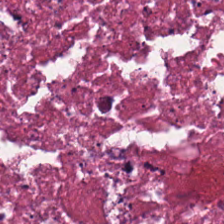Tissue = cellular debris.
